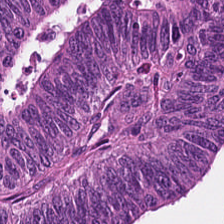Brightfield. H&E-stained tissue section — Q: What is shown in this field?
A: Tumor epithelium.
